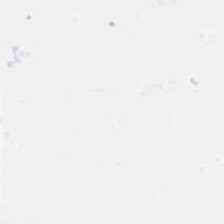Hematoxylin and eosin — Background — no tissue in this field.
